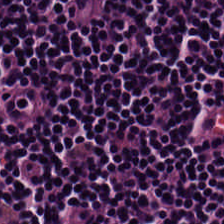H&E stain.
This patch shows lymphocytic infiltrate.
